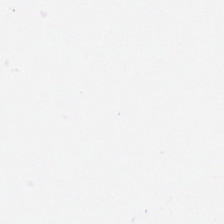Hematoxylin-and-eosin stained section.
Histology — no tissue.
